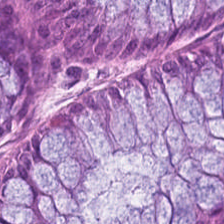H&E stain. Tissue type: normal colonic mucosa.
